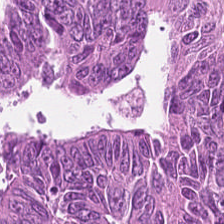H&E stain — The tissue here is tumor epithelium.
